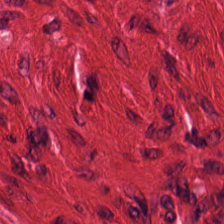Stain: H&E.
Tissue class: muscularis.
